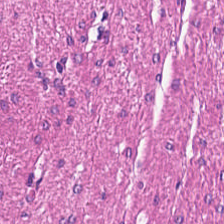Formalin-fixed paraffin-embedded section · H&E.
This patch shows smooth-muscle tissue.
